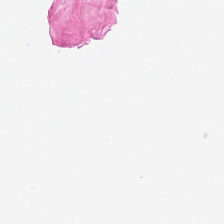Hematoxylin-and-eosin stained section — Histology → background (no tissue).
